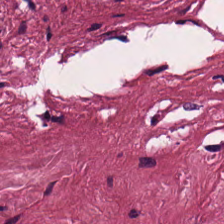Brightfield. Hematoxylin-and-eosin stained section. {"tissue_type": "tumor stroma"}
